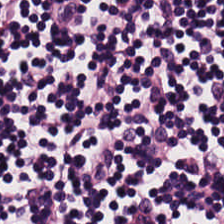H&E-stained tissue section. Tissue class = lymphocyte aggregate.
